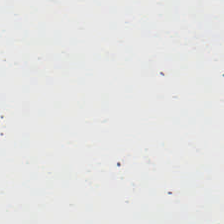Hematoxylin-and-eosin stained section. Impression → background.
